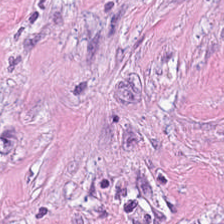H&E-stained tissue section.
Tissue = cancer-associated stroma.
